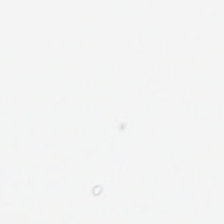224×224 px patch; H&E stain; brightfield. No tissue present; background only.
